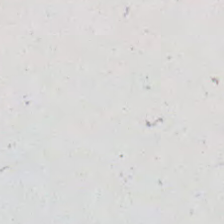H&E stain. This patch shows background (no tissue).
